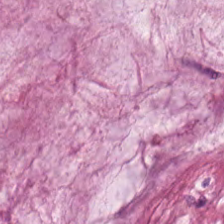Stain: H&E stain.
Predominant tissue: extracellular mucin.
